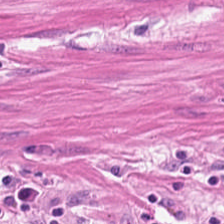Stain: hematoxylin-and-eosin stained section.
Resolution: 20× equivalent magnification.
Preparation: FFPE.
Tissue: smooth muscle.
